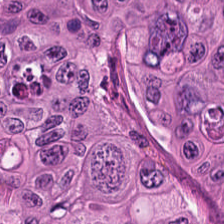H&E — colorectal adenocarcinoma.
